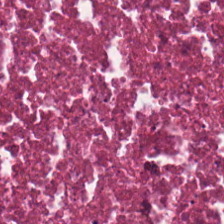Hematoxylin and eosin. Q: What type of tissue is this?
A: The field shows cellular debris.
